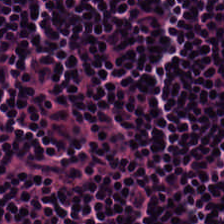Histology → lymphocytes.
